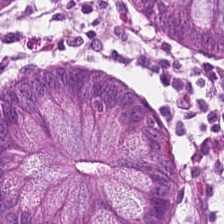Impression — normal colonic mucosa.
